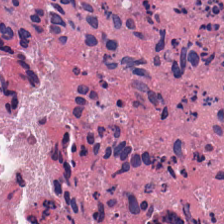Brightfield; H&E — The classification is necrotic debris.
